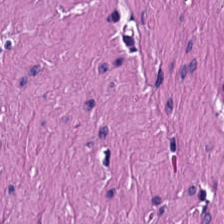Q: What tissue type is shown here?
A: Smooth muscle.
